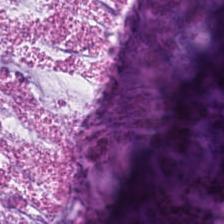H&E-stained tissue section. Q: What tissue type is shown here?
A: It is mucus.
